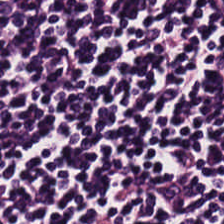The predominant tissue is lymphocytic infiltrate.
